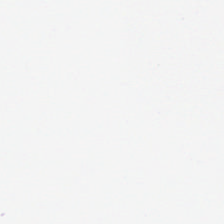Q: What does this patch show?
A: This is empty background.
